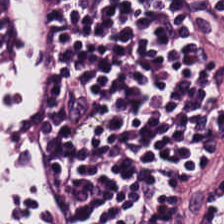224×224 pixel tile · brightfield microscopy · hematoxylin and eosin — The tissue type is lymphocytic infiltrate.
